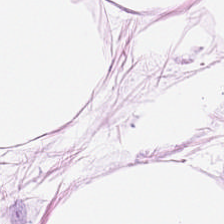H&E-stained tissue section — Tissue type — fat tissue.
